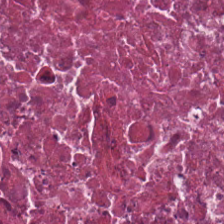Stain: hematoxylin-and-eosin stained section.
Predominant tissue: necrotic debris.
